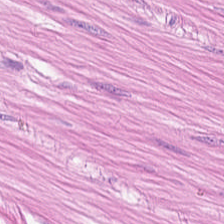H&E stain; 224×224 px patch.
Predominant tissue: smooth-muscle tissue.
